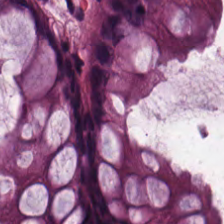Brightfield. 0.5 µm per pixel. H&E stain.
This field is normal colon mucosa.
